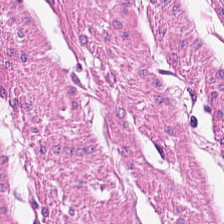Hematoxylin-and-eosin stained section.
The tissue is smooth-muscle tissue.
